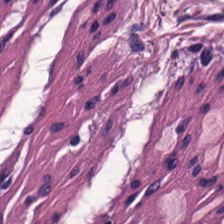Hematoxylin-and-eosin stained section.
Showing smooth muscle.
